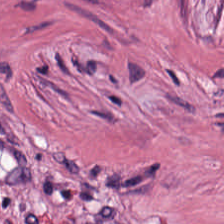Hematoxylin-and-eosin stained section · 0.5 µm per pixel.
The tissue type is desmoplastic stroma.
